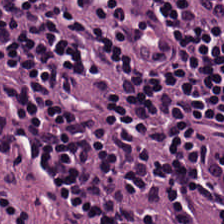Hematoxylin and eosin · whole-slide-image patch — Classification — lymphocytic infiltrate.
